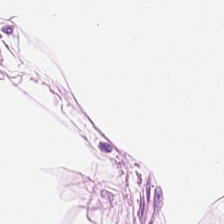0.5 µm/px · hematoxylin and eosin — {"tissue_type": "adipose tissue"}
